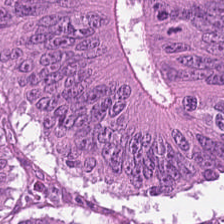Stain: H&E-stained tissue section.
Tissue type: colorectal adenocarcinoma.
